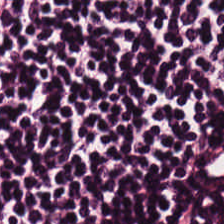Tissue — lymphocytes.
